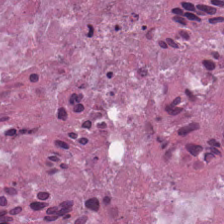Hematoxylin-and-eosin stained section. {"tissue_type": "necrotic debris"}
